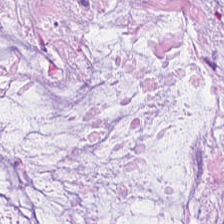Hematoxylin and eosin. Mucin.
